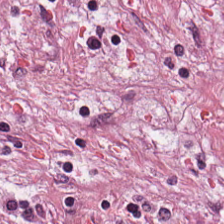H&E · FFPE · whole-slide-image patch. Q: What is the predominant tissue type?
A: This is desmoplastic stroma.
